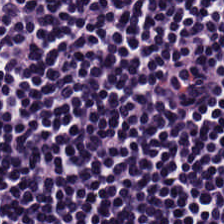H&E stain; 224×224 px tile — The predominant tissue is lymphocyte aggregate.
